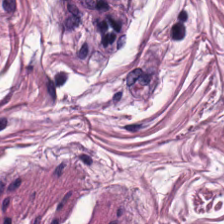Hematoxylin-and-eosin stained section. Q: What tissue is shown?
A: It is muscularis.
